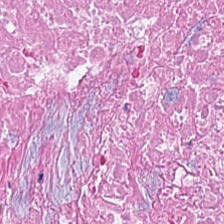{"tissue_type": "cellular debris"}
